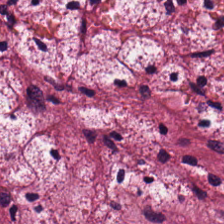WSI patch. 224×224 px patch. H&E.
Impression → desmoplastic stroma.
